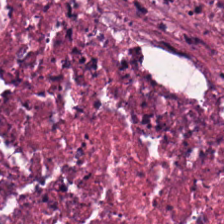Hematoxylin and eosin — Histology → debris.
